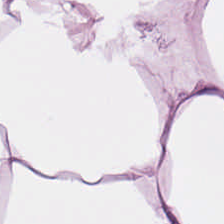H&E stain.
The tissue is adipocytes.
